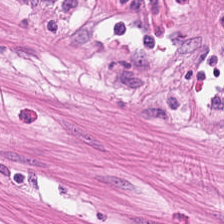H&E. The tissue is smooth muscle.
